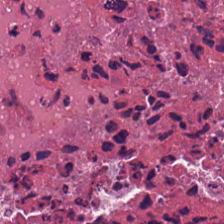Stain: hematoxylin and eosin.
Resolution: 0.5 µm/px.
Tissue class: debris.
